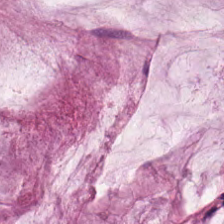Hematoxylin and eosin — The predominant tissue is extracellular mucin.
